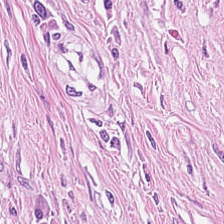0.5 µm per pixel · WSI patch · H&E — The tissue here is cancer-associated stroma.
